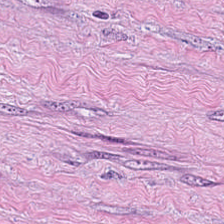Brightfield · hematoxylin-and-eosin stained section · 20× equivalent magnification. Cancer-associated stroma.
